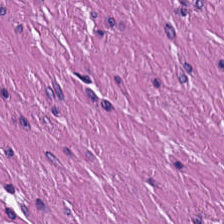H&E-stained tissue section. Finding → smooth muscle.
